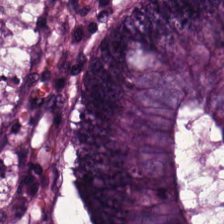Formalin-fixed paraffin-embedded section. WSI patch. H&E. Tissue type = colorectal adenocarcinoma epithelium.
